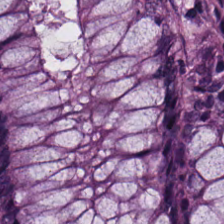H&E stain.
Tissue type — normal colon mucosa.
